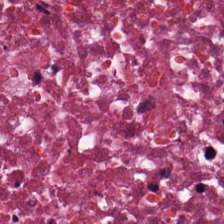Tissue class: debris.
